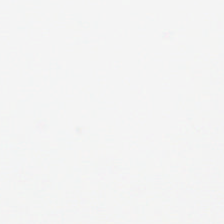0.5 µm/px · hematoxylin and eosin · FFPE tissue section. This field is background (no tissue).
